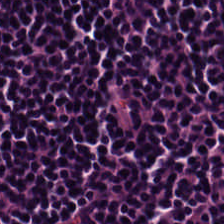224×224 px patch; H&E; FFPE tissue section. Predominant tissue: lymphoid infiltrate.
